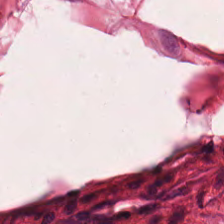H&E. Predominantly smooth-muscle tissue.
